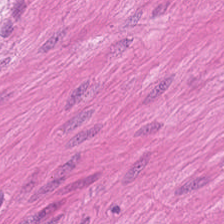H&E.
This patch shows muscularis.
